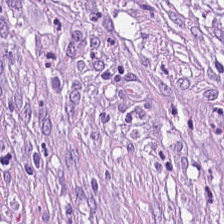Hematoxylin and eosin. {"tissue_type": "desmoplastic stroma"}
